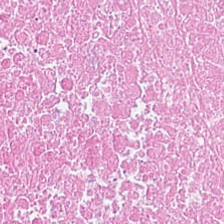224×224 px tile · H&E stain.
The tissue here is debris.
